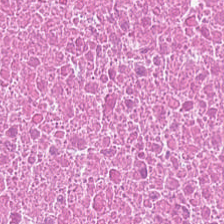Stain: H&E-stained tissue section.
Tile size: 224×224 px tile.
Preparation: FFPE tissue section.
Predominant tissue: debris.
